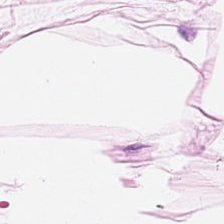Hematoxylin-and-eosin stained section — Tissue class: adipocytes.
